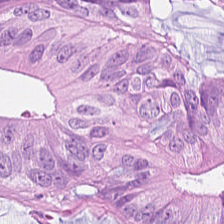H&E.
Tissue class — malignant epithelium.
